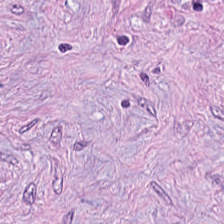H&E-stained tissue section.
Desmoplastic stroma.
